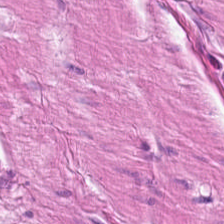FFPE · H&E. Q: What type of tissue is this?
A: This is smooth-muscle tissue.
